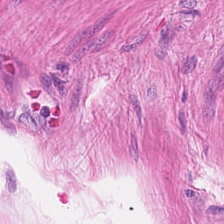Formalin-fixed paraffin-embedded section. Hematoxylin-and-eosin stained section. {"tissue_type": "smooth muscle"}
